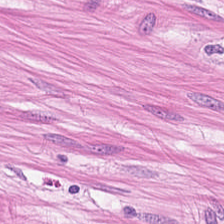Stain: hematoxylin-and-eosin stained section.
Resolution: 0.5 µm/px.
Tile size: 224×224 px patch.
Classification: smooth-muscle tissue.
